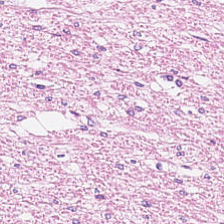Tissue type: smooth-muscle tissue.
